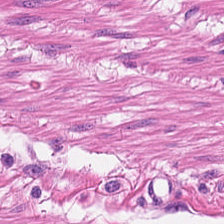0.5 µm per pixel · hematoxylin and eosin.
Classification — smooth muscle.
